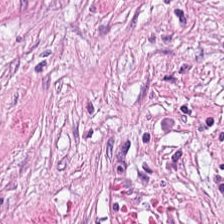H&E. Tissue class = desmoplastic stroma.
